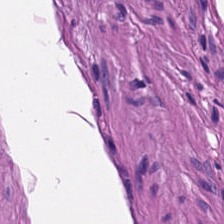20× equivalent magnification · H&E-stained tissue section · formalin-fixed paraffin-embedded section. The predominant tissue is muscularis.
